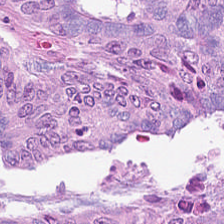H&E-stained section; the field shows tumor epithelium.
